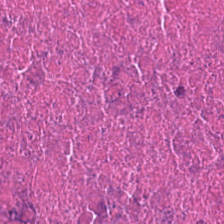Formalin-fixed paraffin-embedded section. Brightfield. H&E-stained tissue section. The tissue here is necrotic debris.
